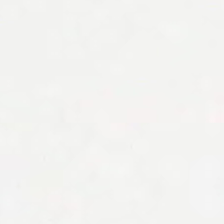Stain: H&E.
Content: background.
